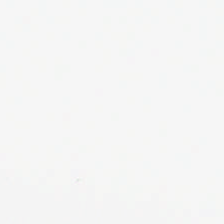H&E-stained tissue section · 224×224 pixel tile. Background — no tissue in this field.
